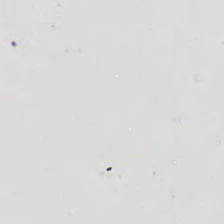20× equivalent magnification. Hematoxylin and eosin — This field is background (no tissue).
